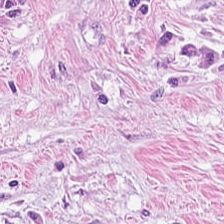{"tissue_type": "tumor stroma"}
